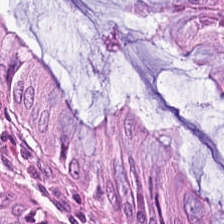Tissue class: normal colon mucosa.
